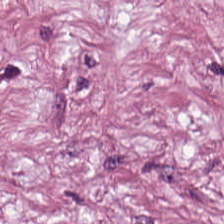Finding → desmoplastic stroma.
